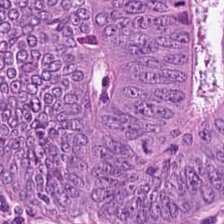Hematoxylin-and-eosin stained section. Formalin-fixed paraffin-embedded section. Whole-slide-image patch.
Histology — malignant epithelium.
